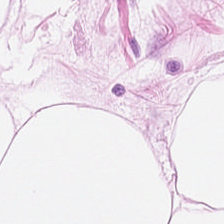H&E stain. WSI patch.
Predominantly adipose.
